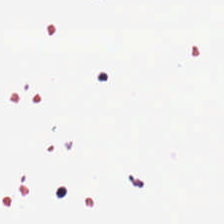Stain: H&E.
Content: no tissue.
